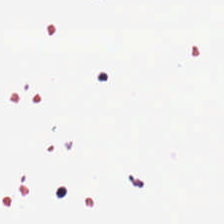Stain: H&E.
Content: no tissue.
